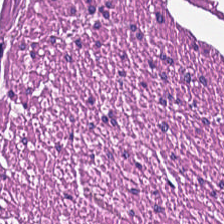H&E-stained tissue section · 0.5 microns per pixel. Predominantly muscularis.
